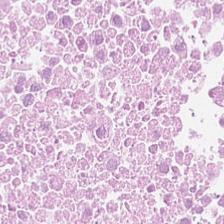Hematoxylin and eosin — Cellular debris.
